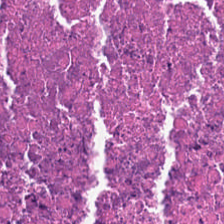Hematoxylin-and-eosin stained section — The predominant tissue is debris.
